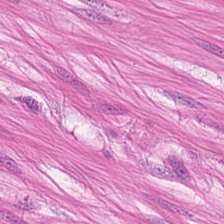H&E stain — Tissue class = muscularis.
